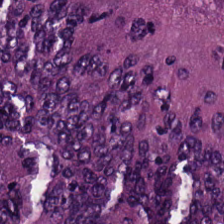H&E. Tissue: adenocarcinoma.
